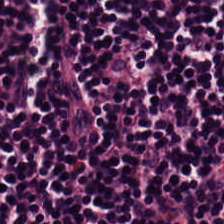Whole-slide-image patch · FFPE · H&E-stained tissue section.
Q: What is shown in this field?
A: The field shows lymphocyte aggregate.
